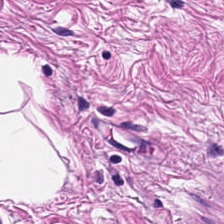FFPE. H&E stain. Q: What is shown here?
A: The field shows smooth-muscle tissue.
